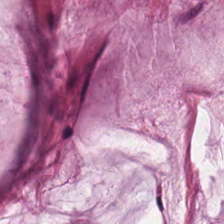H&E.
Extracellular mucin.
